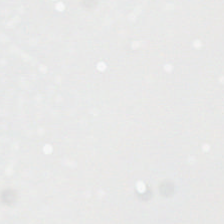Whole-slide-image patch. Hematoxylin and eosin.
Background — no tissue in this field.
